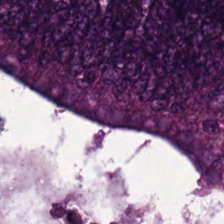Tumor epithelium.
